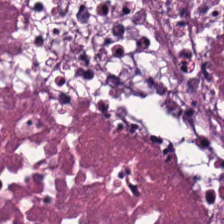Stain: hematoxylin and eosin.
Tissue class: cellular debris.
